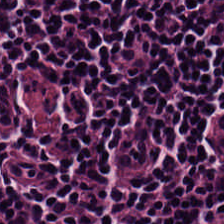H&E stain. This patch shows lymphocyte aggregate.
